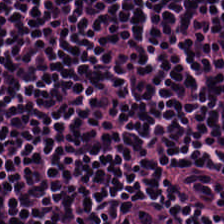Predominant tissue: lymphoid infiltrate.
